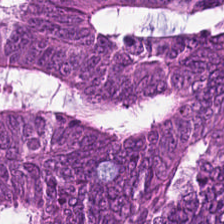Hematoxylin and eosin — Histology — malignant epithelium.
